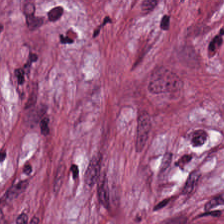Formalin-fixed paraffin-embedded section. H&E.
This field is cancer-associated stroma.
